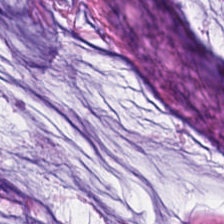Hematoxylin and eosin — Histology → extracellular mucin.
